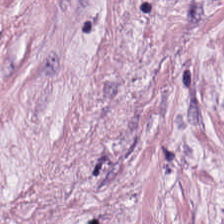Hematoxylin and eosin · 0.5 µm per pixel — Predominant tissue — tumor-associated stroma.
